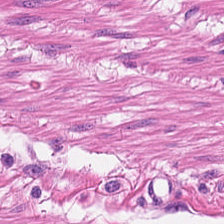H&E-stained tissue section · formalin-fixed paraffin-embedded section. Predominantly smooth-muscle tissue.
